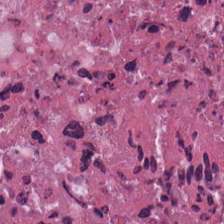The predominant tissue is debris.
